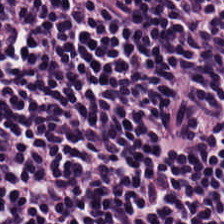Tissue class: lymphoid infiltrate.
